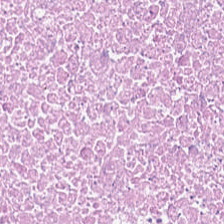H&E-stained tissue section. Histology — debris.
